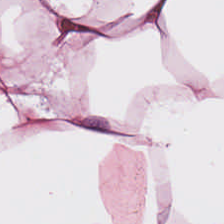Hematoxylin-and-eosin stained section · 0.5 µm per pixel · 224×224 pixel tile.
Adipose tissue.
